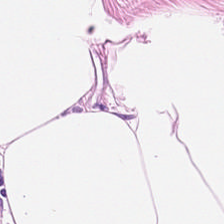Hematoxylin-and-eosin stained section. Q: What tissue is shown?
A: Adipocytes.
